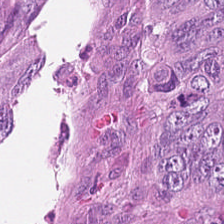Tissue class — tumor epithelium.
